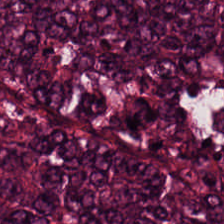H&E-stained section; the field shows colorectal adenocarcinoma.
